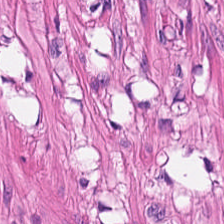0.5 µm per pixel; whole-slide-image patch; H&E-stained tissue section. Showing smooth muscle.
